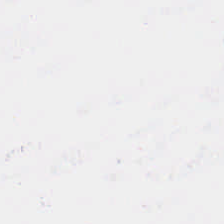This field is background (no tissue).
